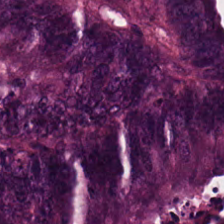H&E stain.
Showing adenocarcinoma.
